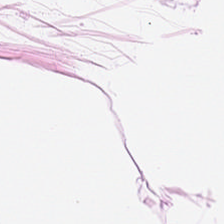224×224 px tile · H&E · FFPE. Classification: adipose.
